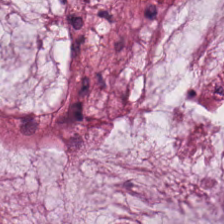224×224 px patch · H&E · 0.5 µm per pixel.
{"tissue_type": "extracellular mucin"}
